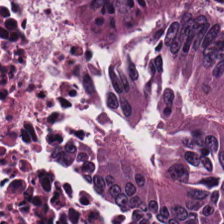Stain: H&E.
Preparation: FFPE tissue section.
Tissue class: adenocarcinoma.
